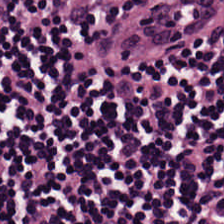Tissue class — lymphocyte aggregate.
